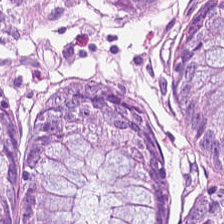Stain: H&E stain.
Tissue class: normal colon mucosa.
